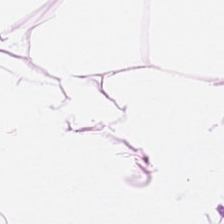Q: Classify this patch.
A: Adipose tissue.
